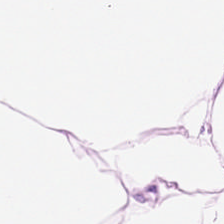Stain: hematoxylin-and-eosin stained section.
Classification: adipose tissue.
